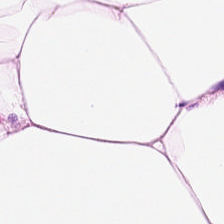Hematoxylin and eosin.
Predominantly adipocytes.
